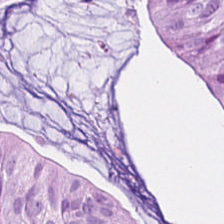Impression — malignant epithelium.
